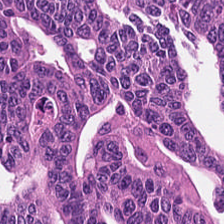0.5 microns per pixel · formalin-fixed paraffin-embedded section · H&E-stained tissue section.
This field is malignant epithelium.
